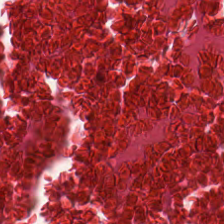Brightfield; hematoxylin and eosin. This patch shows debris.
